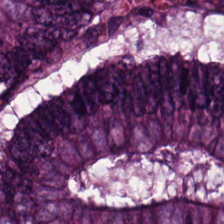This field is adenocarcinoma.
